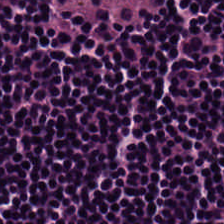Hematoxylin-and-eosin section: lymphocyte aggregate.
